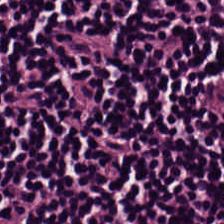Stain: H&E.
Acquisition: brightfield.
Tissue class: lymphocytic infiltrate.
